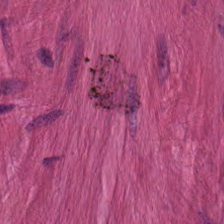H&E.
The predominant tissue is muscularis.
